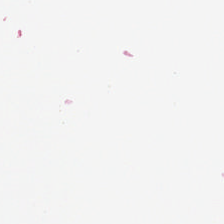Formalin-fixed paraffin-embedded section; H&E stain. Background — no tissue in this field.
